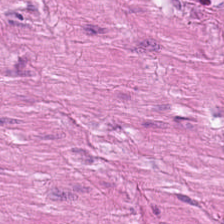Hematoxylin-and-eosin stained section — Predominantly smooth-muscle tissue.
